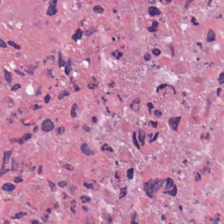Predominant tissue = debris.
